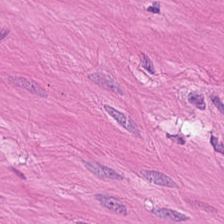H&E stain. {"tissue_type": "smooth muscle"}
